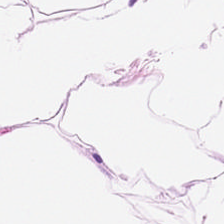H&E stain — Finding — adipose tissue.
